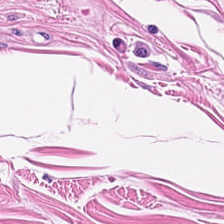The tissue type is smooth-muscle tissue.
